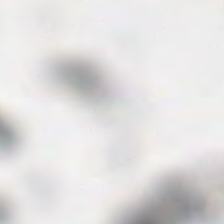Formalin-fixed paraffin-embedded section · H&E.
No tissue present; background only.
